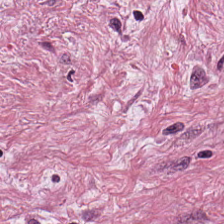20× equivalent magnification. H&E. Brightfield microscopy — The tissue here is tumor-associated stroma.
